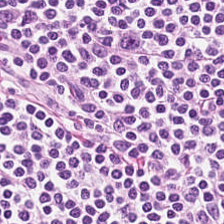H&E.
Q: What type of tissue is this?
A: Lymphocytic infiltrate.
